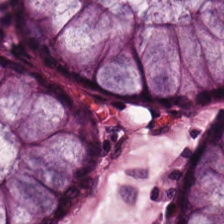Hematoxylin-and-eosin stained section — Classification: normal colonic mucosa.
